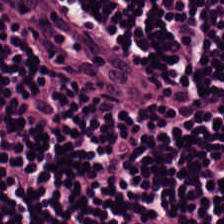H&E-stained tissue section. Impression → lymphocytes.
